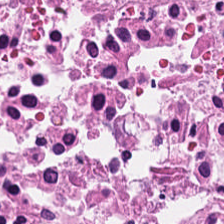Stain: hematoxylin and eosin.
Tissue type: cellular debris.
